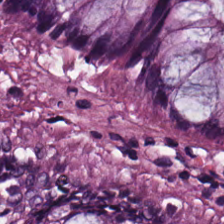H&E-stained tissue section — The tissue type is non-neoplastic colon mucosa.
